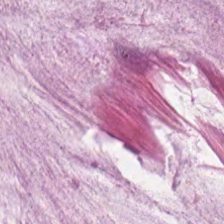H&E stain. This patch shows mucus.
